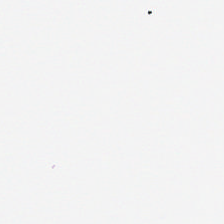H&E stain.
This patch shows background.
